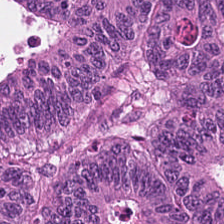Hematoxylin and eosin.
This patch shows tumor epithelium.
